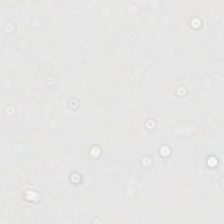Impression → no tissue.
